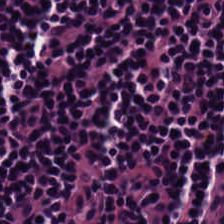WSI patch · H&E stain · FFPE tissue section.
The tissue here is lymphocytes.
